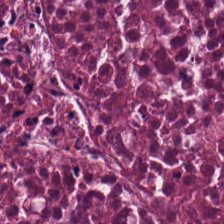Stain: H&E.
Preparation: formalin-fixed paraffin-embedded section.
Tissue class: cellular debris.
